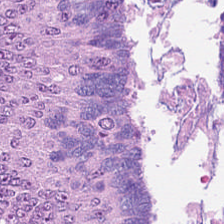H&E-stained tissue section. The tissue here is colorectal adenocarcinoma.
